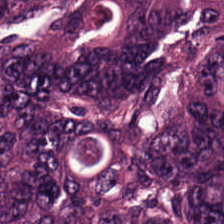Stain: hematoxylin and eosin.
Classification: adenocarcinoma.
